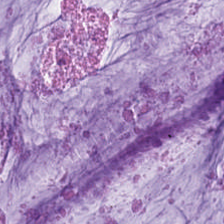H&E-stained tissue section.
Classification: mucus.
